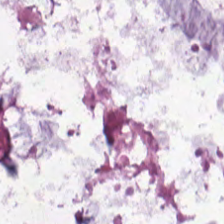Hematoxylin and eosin. FFPE.
Histology → mucin.
